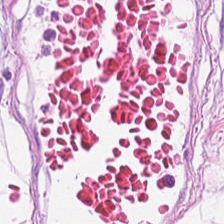FFPE tissue section · hematoxylin-and-eosin stained section · 0.5 µm per pixel.
The tissue is fat tissue.
